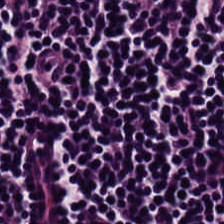H&E stain.
Q: What is shown in this field?
A: This is lymphocyte aggregate.
